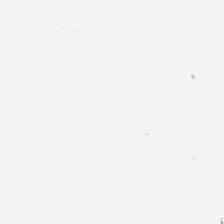H&E · brightfield microscopy. Content = no tissue.
